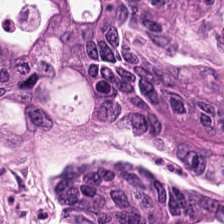H&E stain. FFPE. Predominantly colorectal adenocarcinoma.
